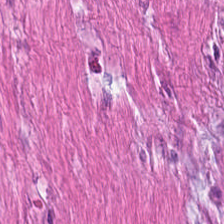Histology — muscularis.
